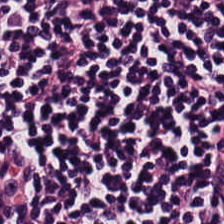The tissue here is lymphocyte aggregate.
